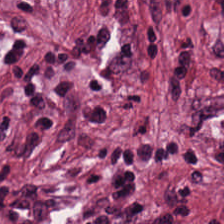Whole-slide-image patch · hematoxylin and eosin.
Predominant tissue: desmoplastic stroma.
